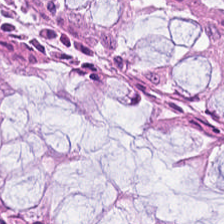H&E-stained tissue section. Histology → non-neoplastic colon mucosa.
